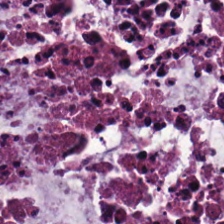H&E-stained tissue section. This field is mucus.
